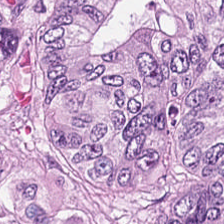Histology — colorectal adenocarcinoma.
